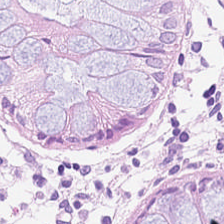FFPE. H&E-stained tissue section — Showing normal colonic mucosa.
